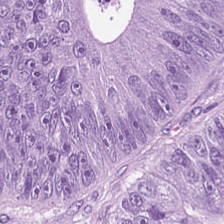Hematoxylin and eosin. Tumor epithelium.
